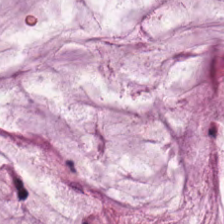Hematoxylin-and-eosin stained section.
Predominantly mucin.
